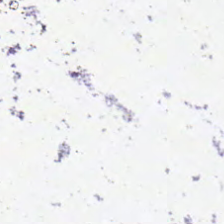H&E stain — Content — empty background.
